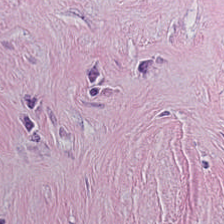Hematoxylin and eosin. Predominantly desmoplastic stroma.
